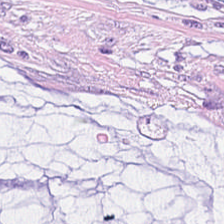H&E.
Tissue class = mucin.
